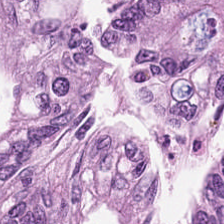Tissue type: malignant epithelium.
